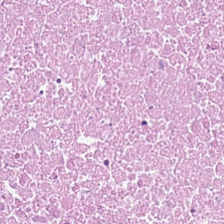Brightfield; hematoxylin and eosin; 0.5 µm/px.
The predominant tissue is debris.
